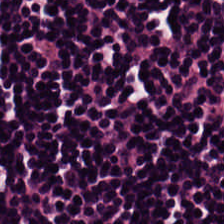The predominant tissue is lymphocyte aggregate.
